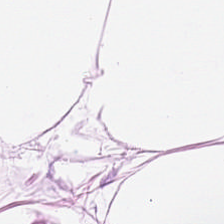Tissue type = adipocytes.
